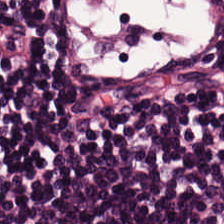Stain: hematoxylin-and-eosin stained section.
Predominant tissue: lymphoid infiltrate.
